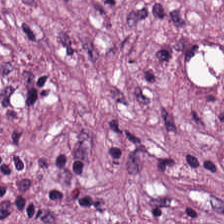0.5 µm/px; H&E.
Predominantly desmoplastic stroma.
